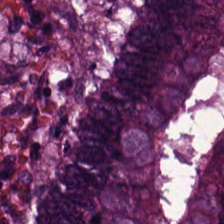H&E stain — Q: Classify this patch.
A: It is adenocarcinoma.
